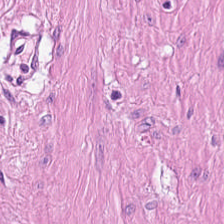Stain: hematoxylin and eosin.
Tissue class: smooth muscle.
